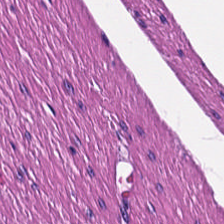H&E-stained tissue section. Predominantly smooth-muscle tissue.
